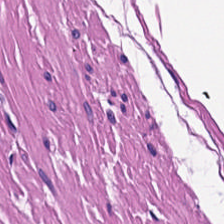Hematoxylin-and-eosin stained section.
Classification = smooth muscle.
